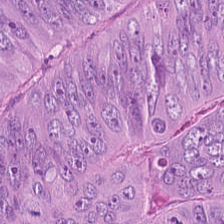Hematoxylin-and-eosin stained section; WSI patch. Q: What type of tissue is this?
A: Colorectal adenocarcinoma epithelium.
